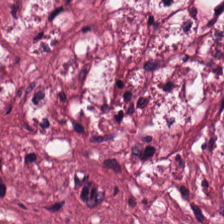H&E-stained tissue section. 0.5 microns per pixel — Histology → cancer-associated stroma.
